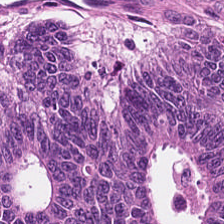H&E-stained tissue section; brightfield microscopy; formalin-fixed paraffin-embedded section.
Showing colorectal adenocarcinoma.
